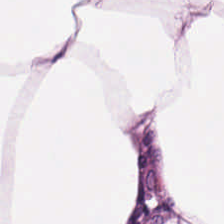H&E-stained tissue section; 224×224 px patch; FFPE tissue section. {"tissue_type": "adipose"}
